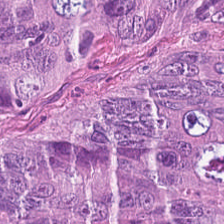Hematoxylin and eosin.
Q: What is shown here?
A: The field shows adenocarcinoma.
